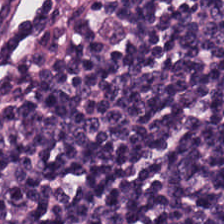Hematoxylin-and-eosin stained section — Q: Identify the tissue.
A: It is lymphocytes.
